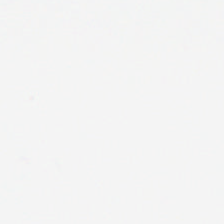H&E-stained tissue section; WSI patch.
Classification = background.
